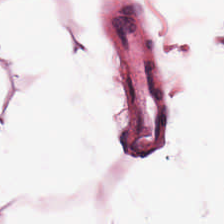H&E. Impression — adipocytes.
